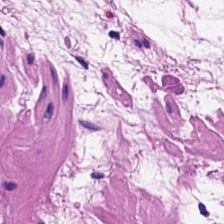H&E stain. Tissue: muscularis.
